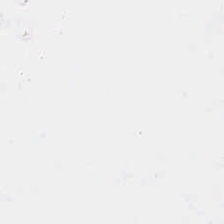H&E-stained tissue section. 0.5 µm/px. Q: Classify this patch.
A: It is empty background.
